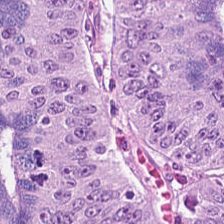Q: Classify this patch.
A: This is colorectal adenocarcinoma epithelium.
